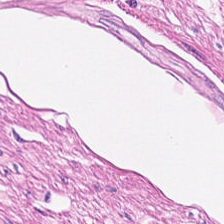H&E stain. Tissue type = muscularis.
